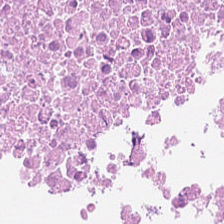H&E stain. 224×224 pixel tile.
Finding — necrotic debris.
